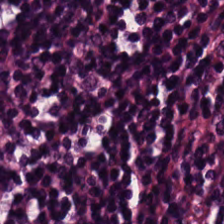Brightfield. 20× equivalent magnification. H&E-stained tissue section — Histology → lymphocytes.
